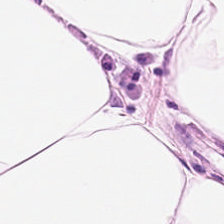Hematoxylin-and-eosin stained section.
Q: Identify the tissue.
A: Fat tissue.
